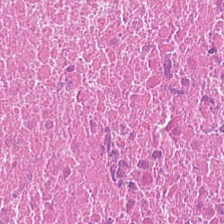Stain: H&E stain.
Predominant tissue: cellular debris.
